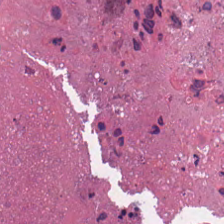H&E — Necrotic debris.
